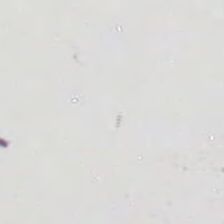Hematoxylin and eosin.
Q: What does this patch show?
A: It is empty background.
